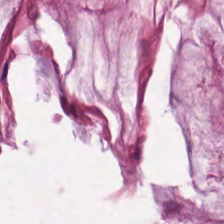Hematoxylin and eosin. Q: What is shown here?
A: It is extracellular mucin.
